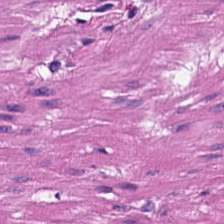H&E stain — The tissue here is muscularis.
